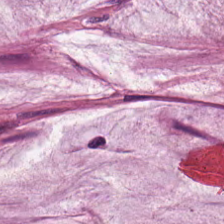Stain: H&E.
Predominant tissue: mucus.
